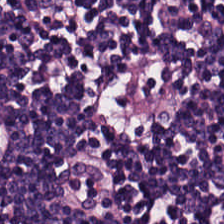Hematoxylin-and-eosin stained section. 0.5 microns per pixel. The tissue class is lymphoid infiltrate.
